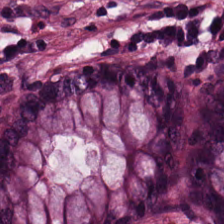H&E; 224×224 pixel tile; formalin-fixed paraffin-embedded section — Benign colonic mucosa.
